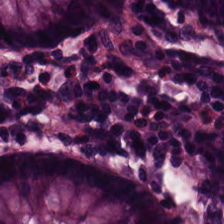Brightfield. H&E stain — Tissue: normal colonic mucosa.
